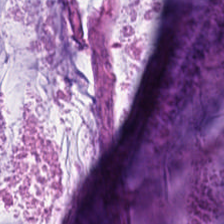Impression → mucus.
